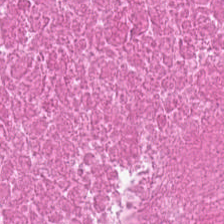FFPE · H&E-stained tissue section · WSI patch — Tissue class: cellular debris.
